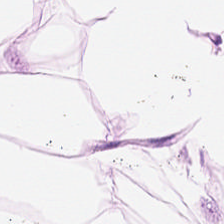H&E. Histology — adipocytes.
